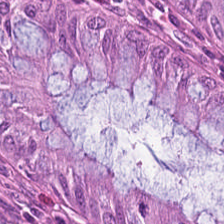20× equivalent magnification · H&E-stained tissue section.
Finding — non-neoplastic colon mucosa.
